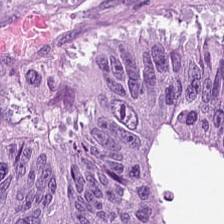Tissue type: colorectal adenocarcinoma epithelium.
